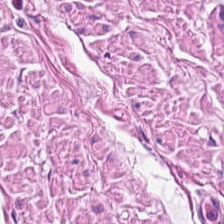Classification = muscularis.
